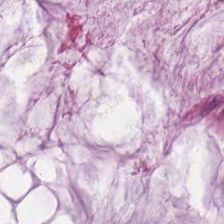H&E-stained tissue section — Impression → mucin.
